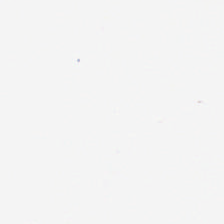WSI patch. Hematoxylin-and-eosin stained section — The content is empty background.
